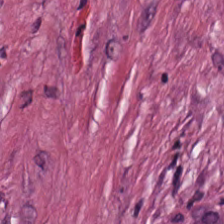H&E-stained tissue section. FFPE. 224×224 px patch — Q: What is shown here?
A: Tumor-associated stroma.
